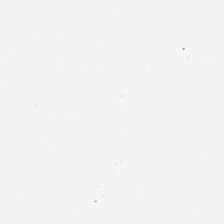Empty field — empty background.
